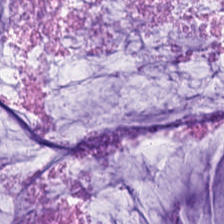Hematoxylin and eosin. Finding — mucin.
